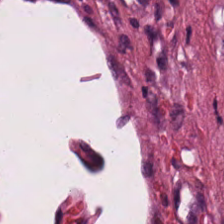Brightfield. Hematoxylin-and-eosin stained section. Cancer-associated stroma.
